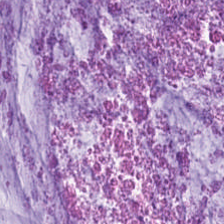Tissue: mucus.
